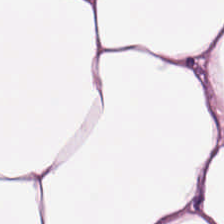H&E stain.
Predominant tissue: adipocytes.
